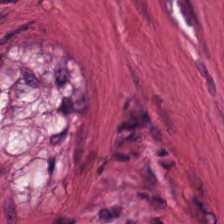Q: What is the predominant tissue type?
A: This is smooth-muscle tissue.
